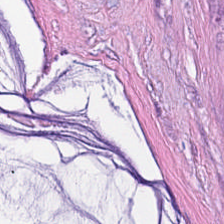Stain: H&E.
Tissue type: mucin.
